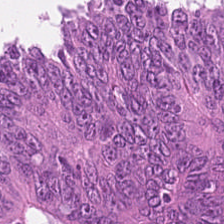H&E. FFPE. WSI patch. Predominant tissue: tumor epithelium.
